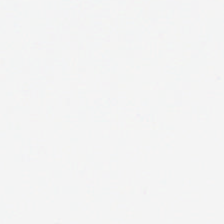FFPE; hematoxylin and eosin; whole-slide-image patch — This patch shows no tissue.
